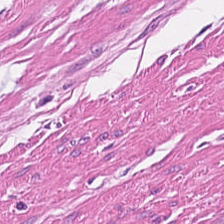H&E-stained section; the field shows smooth-muscle tissue.
